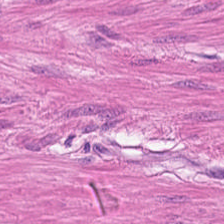Stain: H&E stain.
Classification: smooth-muscle tissue.
